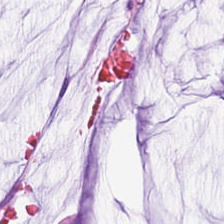Classification = mucus.
